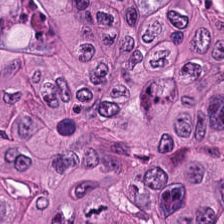Formalin-fixed paraffin-embedded section. Hematoxylin-and-eosin stained section — Showing adenocarcinoma.
